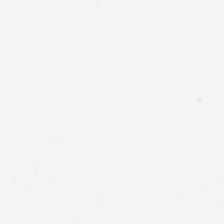Stain: hematoxylin and eosin.
Resolution: 0.5 microns per pixel.
Field content: no tissue.
